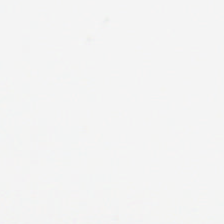Brightfield microscopy; H&E-stained tissue section; 224×224 pixel tile.
The classification is empty background.
